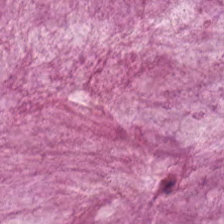H&E patch showing mucin.
